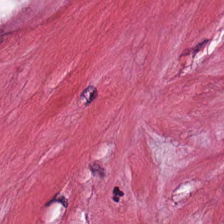0.5 microns per pixel; hematoxylin and eosin. {"tissue_type": "tumor-associated stroma"}
